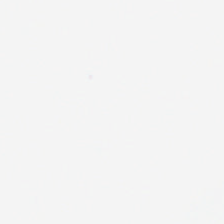This field is background (no tissue).
